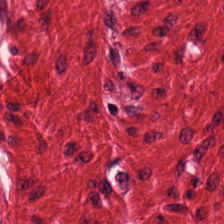Hematoxylin-and-eosin stained section. The tissue here is muscularis.
